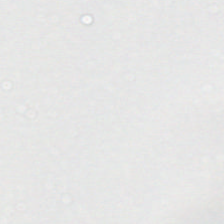H&E; FFPE tissue section. Content = empty background.
